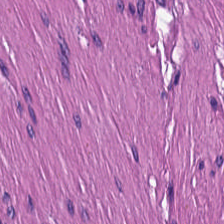0.5 µm per pixel · WSI patch · H&E — The predominant tissue is smooth-muscle tissue.
